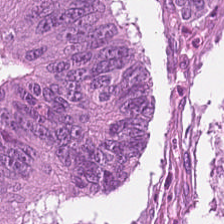FFPE tissue section; hematoxylin-and-eosin stained section — Q: What type of tissue is this?
A: Malignant epithelium.
